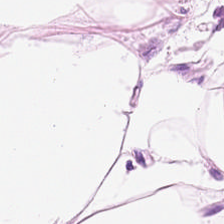0.5 µm/px · H&E-stained tissue section.
The classification is fat tissue.
